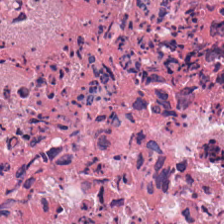H&E stain.
The tissue here is cellular debris.
